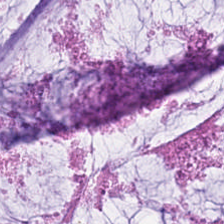H&E-stained tissue section. 0.5 µm per pixel.
Extracellular mucin.
